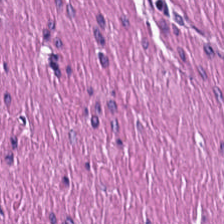Stain: H&E.
Classification: muscularis.
